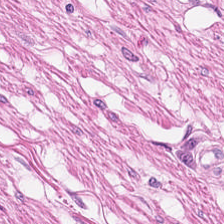Hematoxylin and eosin.
The predominant tissue is smooth muscle.
